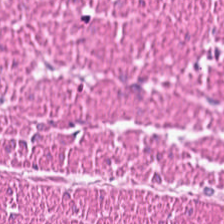Stain: hematoxylin and eosin.
Predominant tissue: muscularis.
